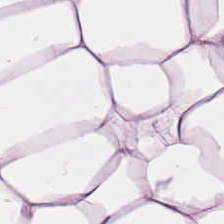FFPE. WSI patch. H&E. Finding — adipose.
